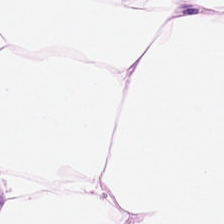Adipose.
